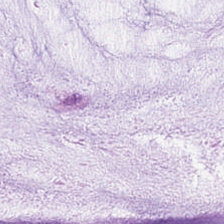Stain: H&E.
Tile size: 224×224 px tile.
Tissue: mucus.
